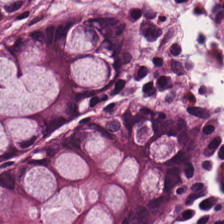H&E stain. The tissue is non-neoplastic colon mucosa.
